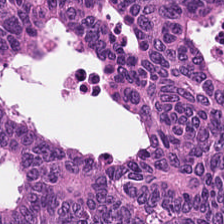H&E stain.
Q: What tissue type is shown here?
A: It is adenocarcinoma.
